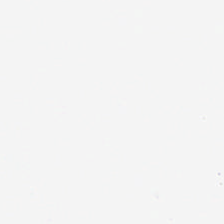H&E-stained tissue section. The field content is no tissue.
